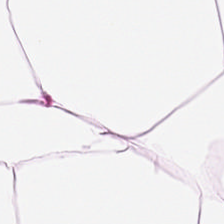Finding → fat tissue.
